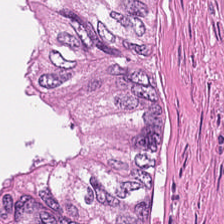Hematoxylin and eosin. 224×224 px patch. Formalin-fixed paraffin-embedded section.
Classification — debris.
